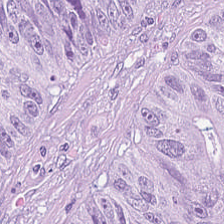Q: What tissue is shown?
A: This is adenocarcinoma.
